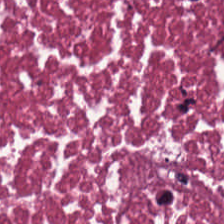H&E stain.
Tissue class: necrotic debris.
